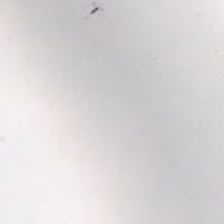H&E stain · brightfield microscopy. Content — no tissue.
